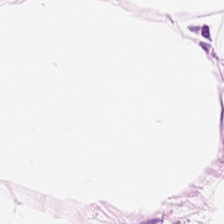H&E patch showing fat tissue.
